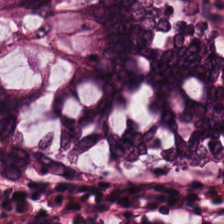Hematoxylin and eosin. Showing non-neoplastic colon mucosa.
